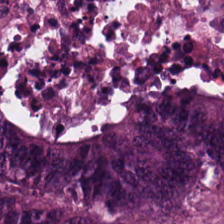H&E-stained tissue section. Q: What is shown here?
A: This is adenocarcinoma.
